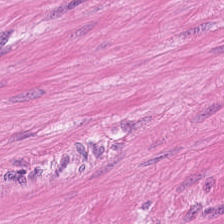Stain: hematoxylin and eosin.
Tile size: 224×224 pixel tile.
Tissue type: smooth muscle.
